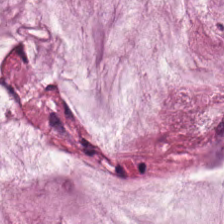FFPE; H&E-stained tissue section.
The predominant tissue is mucin.
